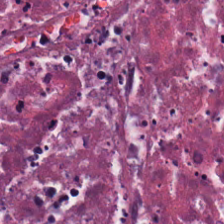Cellular debris.
